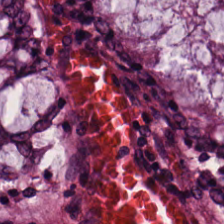H&E-stained tissue section · FFPE tissue section · 0.5 microns per pixel — Tissue class: normal colon mucosa.
